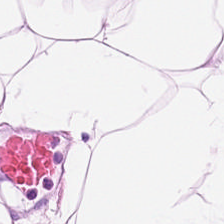H&E. Adipocytes.
